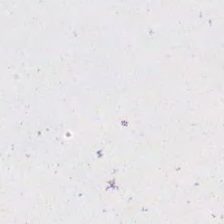Q: What does this patch show?
A: It is empty background.
